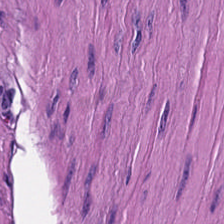Showing smooth muscle.
